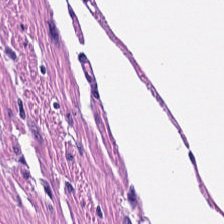Hematoxylin-and-eosin stained section. Smooth muscle.
